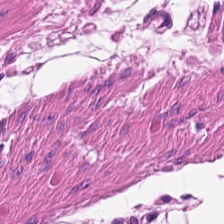Hematoxylin and eosin · 224×224 px patch · 0.5 microns per pixel. Finding — smooth-muscle tissue.
